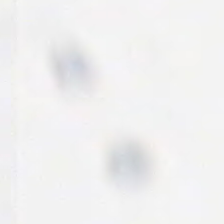This field is background (no tissue).
